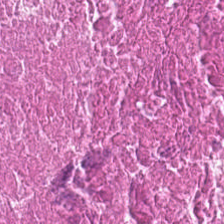Whole-slide-image patch · hematoxylin and eosin — Debris.
